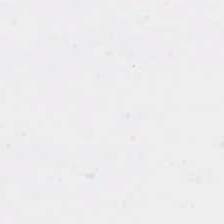Formalin-fixed paraffin-embedded section; H&E; brightfield microscopy — Impression → background (no tissue).
